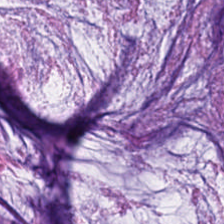Mucin.
